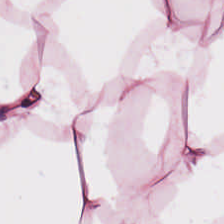H&E-stained tissue section. Impression — adipose tissue.
